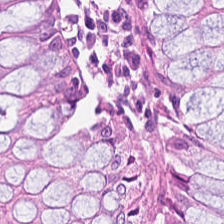FFPE · H&E stain · brightfield.
This field is normal colon mucosa.
